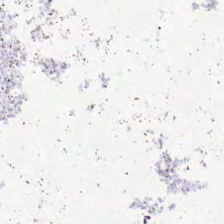Brightfield microscopy; H&E.
Finding → empty background.
